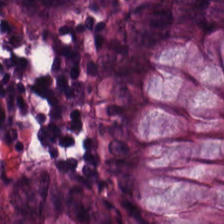Stain: H&E-stained tissue section.
Tissue type: normal colonic mucosa.
